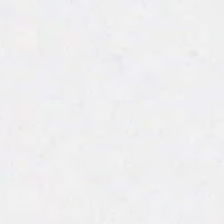H&E. Content — background (no tissue).
